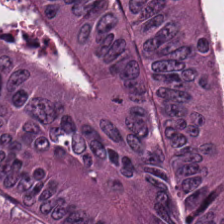This field is colorectal adenocarcinoma.
